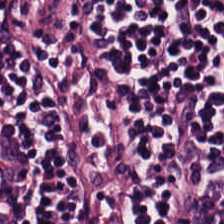H&E stain.
Tissue — lymphocytes.
